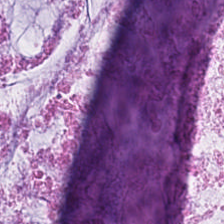0.5 µm per pixel. H&E — This field is extracellular mucin.
